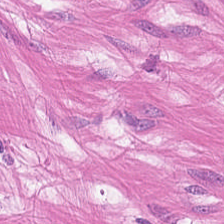Hematoxylin and eosin.
Q: What tissue is shown?
A: The field shows smooth-muscle tissue.
